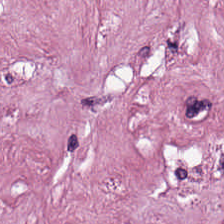Brightfield; H&E stain; FFPE.
The tissue type is desmoplastic stroma.
